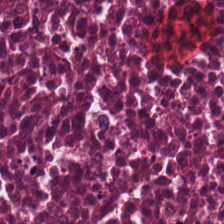Stain: H&E-stained tissue section.
Classification: cellular debris.
